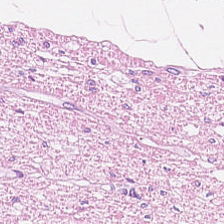Stain: H&E stain.
Predominant tissue: smooth-muscle tissue.
